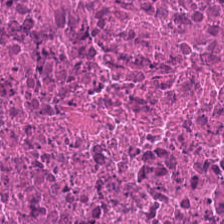H&E.
Finding — cellular debris.
